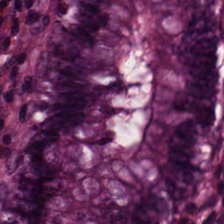Stain: hematoxylin and eosin.
Classification: normal colonic mucosa.
